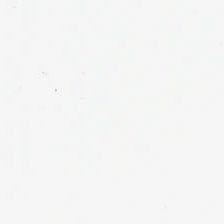H&E stain. Formalin-fixed paraffin-embedded section — Histology → no tissue.
